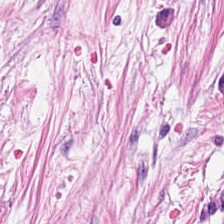Hematoxylin-and-eosin stained section — This field is tumor stroma.
